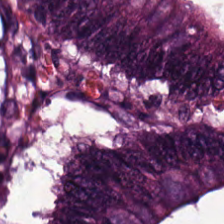Hematoxylin and eosin — The predominant tissue is colorectal adenocarcinoma epithelium.
